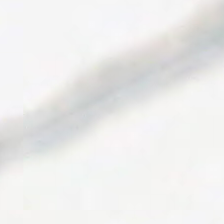H&E-stained tissue section.
Content — no tissue.
